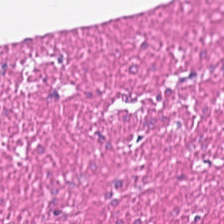Hematoxylin and eosin · 0.5 microns per pixel. Q: What is shown here?
A: This is muscularis.
